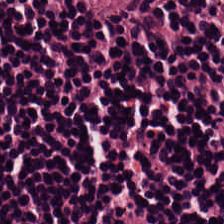Hematoxylin-and-eosin stained section. Predominantly lymphocytic infiltrate.
